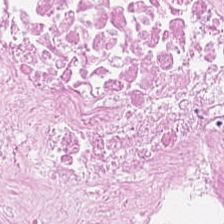H&E; WSI patch; formalin-fixed paraffin-embedded section.
Q: What does this patch show?
A: It is debris.
